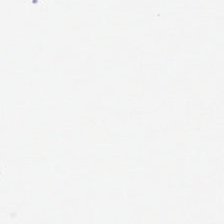FFPE tissue section · hematoxylin-and-eosin stained section. Classification — background.
